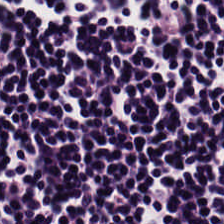Hematoxylin-and-eosin stained section · 0.5 µm per pixel — Predominantly lymphocytes.
